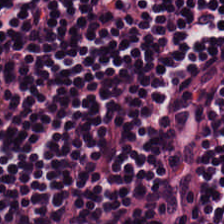Hematoxylin-and-eosin stained section. Brightfield microscopy. The tissue here is lymphocytic infiltrate.
